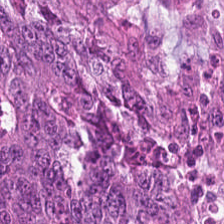H&E stain — Q: Classify this patch.
A: This is malignant epithelium.
